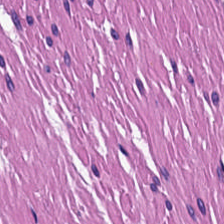H&E. Brightfield. 0.5 microns per pixel — This patch shows smooth muscle.
